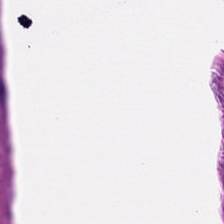Stain: H&E.
Tissue class: smooth-muscle tissue.
